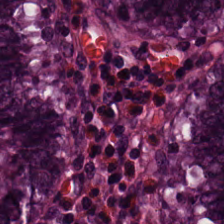Whole-slide-image patch · H&E — Q: What does this patch show?
A: The field shows non-neoplastic colon mucosa.
